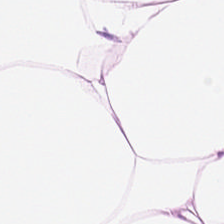H&E-stained tissue section — Classification = adipocytes.
